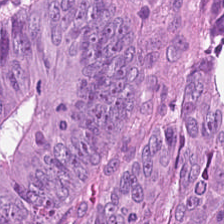H&E stain.
Tumor epithelium.
